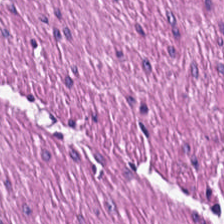224×224 px patch; 20× equivalent magnification; hematoxylin and eosin. Impression — muscularis.
